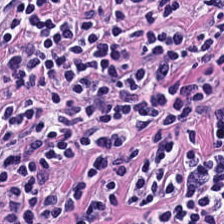FFPE tissue section · H&E · WSI patch — Predominant tissue = lymphocytes.
